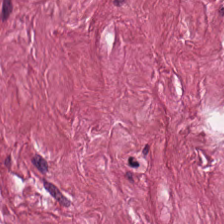Hematoxylin and eosin.
The tissue here is cancer-associated stroma.
